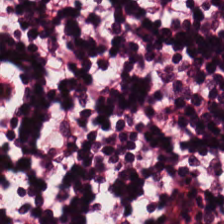FFPE · H&E.
Histology → lymphocytic infiltrate.
